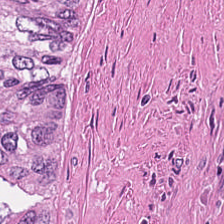H&E · WSI patch · formalin-fixed paraffin-embedded section. Impression — debris.
